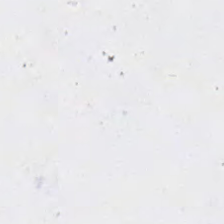H&E.
Q: What is shown in this field?
A: The field shows background (no tissue).
